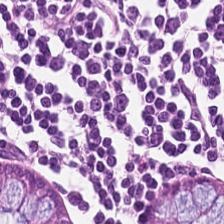H&E stain.
{"tissue_type": "normal colon mucosa"}
